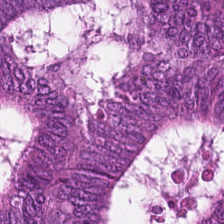Hematoxylin-and-eosin stained section; formalin-fixed paraffin-embedded section — Histology — malignant epithelium.
